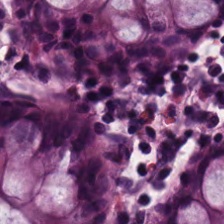H&E-stained tissue section — Q: Classify this patch.
A: It is non-neoplastic colon mucosa.
